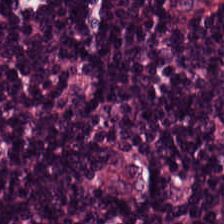0.5 µm/px. H&E stain. 224×224 pixel tile — The tissue type is lymphoid infiltrate.
